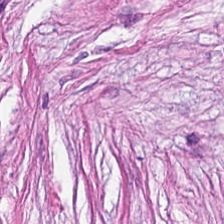Whole-slide-image patch · hematoxylin-and-eosin stained section — Tissue = desmoplastic stroma.
